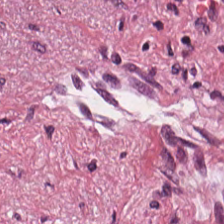Tissue class — tumor stroma.
